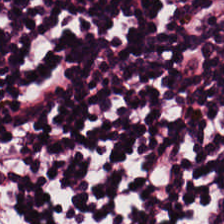Hematoxylin-and-eosin stained section — Tissue type — lymphocytes.
